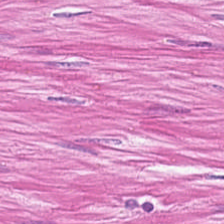H&E stain. Q: What tissue type is shown here?
A: The field shows muscularis.
